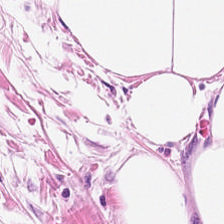20× equivalent magnification · H&E-stained tissue section. This patch shows adipose.
